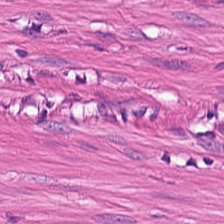Q: What tissue is shown?
A: The field shows smooth-muscle tissue.
